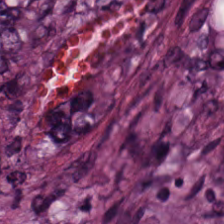Hematoxylin-and-eosin stained section.
The classification is adenocarcinoma.
